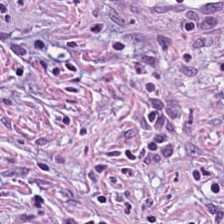224×224 px tile · H&E stain. The tissue class is cancer-associated stroma.
